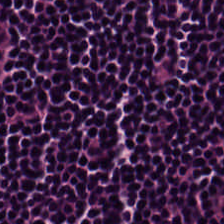Hematoxylin-and-eosin stained section · whole-slide-image patch · 224×224 px tile — Q: What tissue type is shown here?
A: Lymphoid infiltrate.
